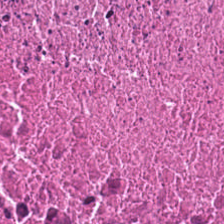Necrotic debris.
